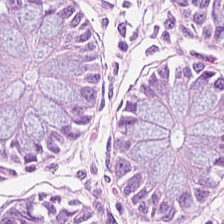Q: What tissue is shown?
A: Benign colonic mucosa.
